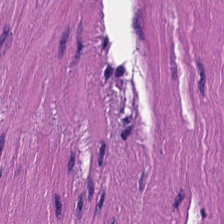Stain: H&E-stained tissue section.
Tissue: smooth-muscle tissue.
